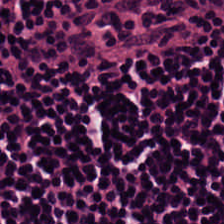224×224 pixel tile · hematoxylin and eosin.
{"tissue_type": "lymphocytes"}
